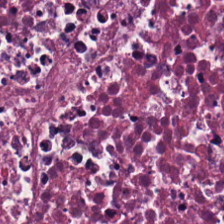Hematoxylin and eosin.
Classification: cellular debris.
